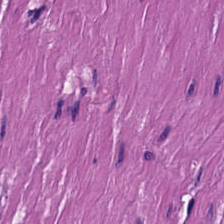H&E stain. This patch shows smooth-muscle tissue.
